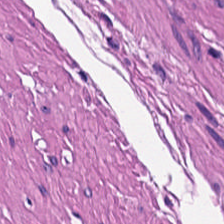Stain: H&E-stained tissue section.
Classification: smooth-muscle tissue.
